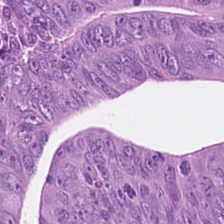Hematoxylin and eosin. Brightfield microscopy. Tissue — tumor epithelium.
